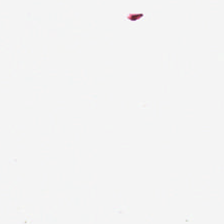0.5 microns per pixel · whole-slide-image patch · hematoxylin-and-eosin stained section — Q: What does this patch show?
A: This is empty background.
